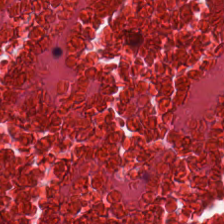Q: What type of tissue is this?
A: It is cellular debris.
